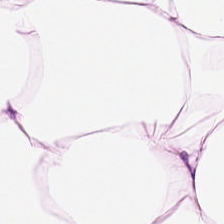FFPE. H&E stain. 0.5 µm per pixel.
Histology → adipocytes.
